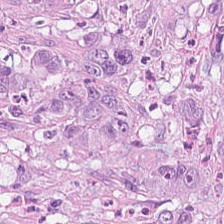Hematoxylin and eosin.
Malignant epithelium.
